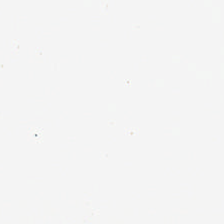Hematoxylin-and-eosin stained section.
Field content: empty background.
